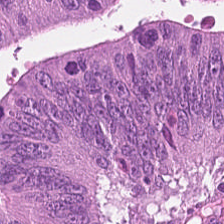Q: What tissue type is shown here?
A: It is adenocarcinoma.
